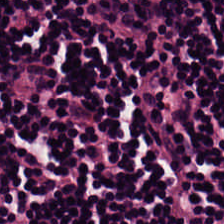H&E; 0.5 µm per pixel.
Showing lymphocyte aggregate.
